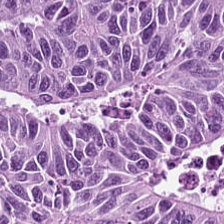Stain: H&E-stained tissue section.
Tissue: colorectal adenocarcinoma epithelium.
